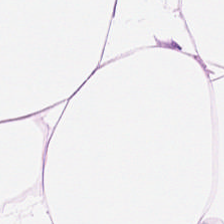224×224 px patch; H&E stain.
Q: Classify this patch.
A: It is adipose.
